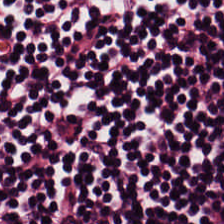0.5 microns per pixel. Hematoxylin and eosin.
Showing lymphoid infiltrate.
